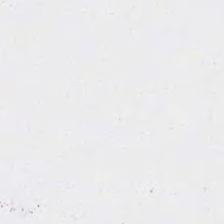WSI patch · H&E · 20× equivalent magnification.
This field is background (no tissue).
